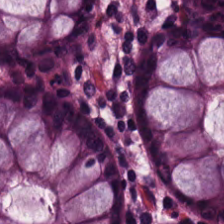H&E stain; formalin-fixed paraffin-embedded section; brightfield microscopy. Classification: normal colon mucosa.
